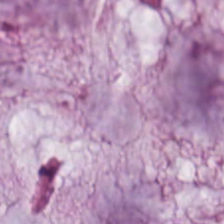H&E-stained tissue section. 224×224 px tile. {"tissue_type": "extracellular mucin"}
